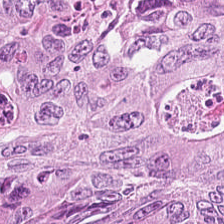The predominant tissue is malignant epithelium.
